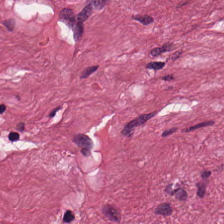Hematoxylin-and-eosin stained section; 224×224 pixel tile. Q: What does this patch show?
A: It is tumor-associated stroma.
